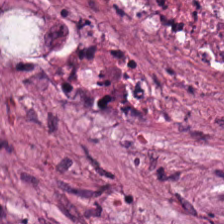H&E-stained tissue section.
Predominantly debris.
